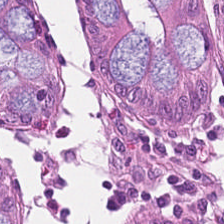FFPE tissue section · H&E · brightfield. This field is non-neoplastic colon mucosa.
